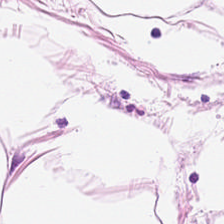Stain: H&E-stained tissue section.
Acquisition: WSI patch.
Tissue: adipose tissue.
